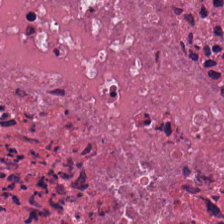Stain: hematoxylin and eosin.
Classification: cellular debris.
